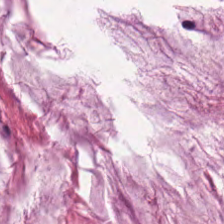Stain: H&E stain.
Tissue: mucus.
